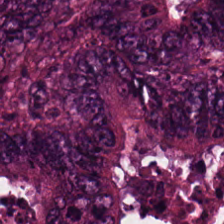The tissue type is adenocarcinoma.
